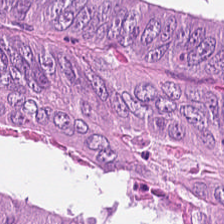0.5 µm/px · FFPE tissue section · H&E stain.
This field is malignant epithelium.
